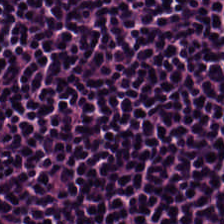H&E stain. 224×224 px patch. Whole-slide-image patch.
The tissue is lymphocyte aggregate.
